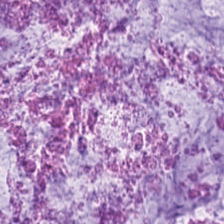This patch shows mucus.
